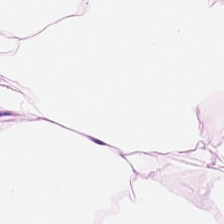H&E stain.
Tissue = adipose.
